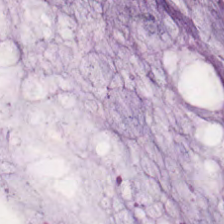FFPE. H&E.
Showing extracellular mucin.
